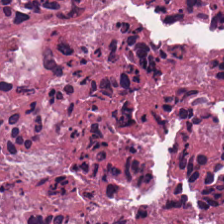Hematoxylin-and-eosin stained section. Q: What does this patch show?
A: Cellular debris.
